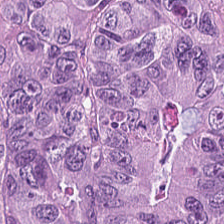Hematoxylin-and-eosin stained section; 0.5 microns per pixel; 224×224 px tile — Q: What type of tissue is this?
A: Colorectal adenocarcinoma.
